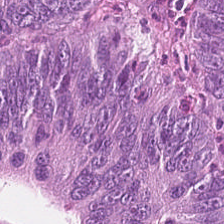WSI patch · formalin-fixed paraffin-embedded section · H&E-stained tissue section — Q: What tissue is shown?
A: The field shows malignant epithelium.
